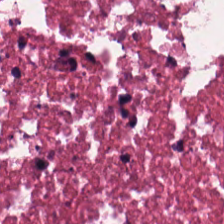WSI patch. 224×224 px tile. Hematoxylin-and-eosin stained section.
{"tissue_type": "debris"}
